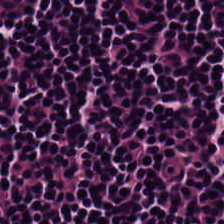Lymphocytic infiltrate.
